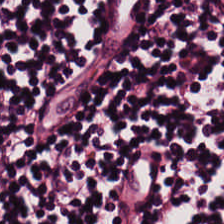This field is lymphoid infiltrate.
